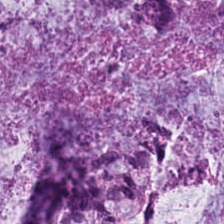Stain: H&E.
Classification: mucus.
